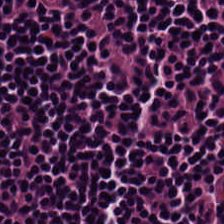Hematoxylin-and-eosin stained section; 224×224 px tile.
The tissue here is lymphocytic infiltrate.
